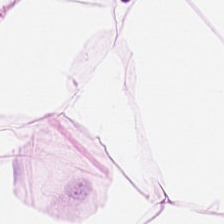Hematoxylin-and-eosin stained section.
{"tissue_type": "fat tissue"}
